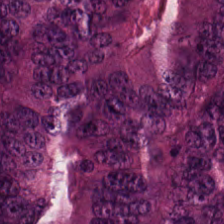H&E. 0.5 microns per pixel — Malignant epithelium.
